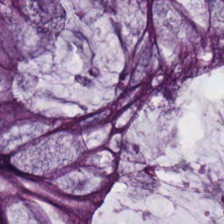{"tissue_type": "non-neoplastic colon mucosa"}
